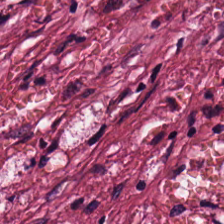Brightfield. 224×224 pixel tile. H&E stain — This field is tumor stroma.
